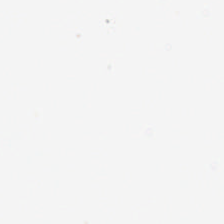This field is background (no tissue).
